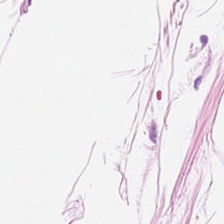Q: What is shown in this field?
A: This is adipocytes.
